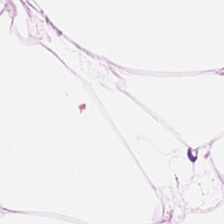H&E stain — Showing fat tissue.
